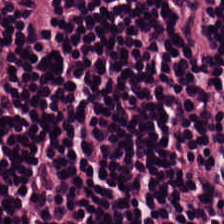Hematoxylin-and-eosin stained section.
Q: What does this patch show?
A: This is lymphocytes.
